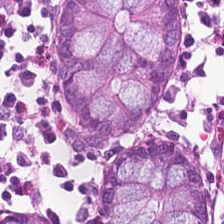Tissue — normal colonic mucosa.
